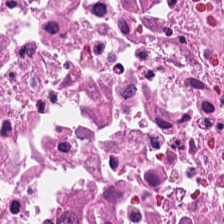Impression → debris.
